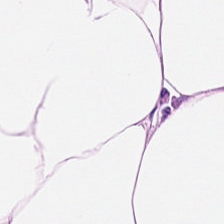Classification — adipocytes.
